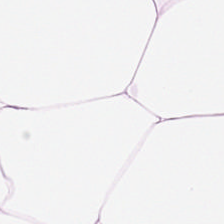This field is fat tissue.
